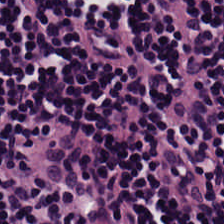FFPE tissue section. Hematoxylin-and-eosin stained section — {"tissue_type": "lymphoid infiltrate"}
